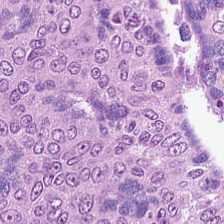Hematoxylin-and-eosin stained section; WSI patch; FFPE tissue section — Q: What tissue is shown?
A: It is tumor epithelium.
